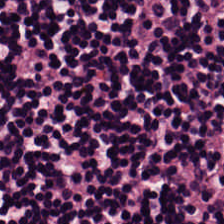H&E stain. 0.5 microns per pixel.
Predominantly lymphocytes.
